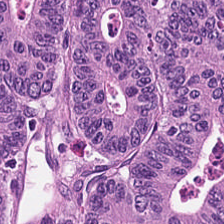Stain: hematoxylin and eosin.
Preparation: FFPE tissue section.
Tissue type: adenocarcinoma.
